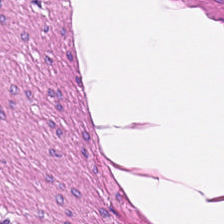Tissue class: muscularis.
